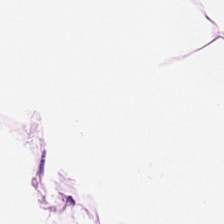H&E-stained tissue section.
{"tissue_type": "adipose tissue"}
